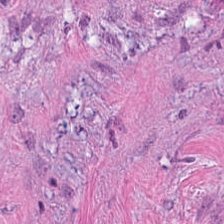Hematoxylin-and-eosin stained section. Brightfield. 224×224 pixel tile — Q: What does this patch show?
A: Tumor stroma.
